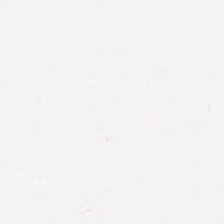H&E stain — Background — no tissue in this field.
